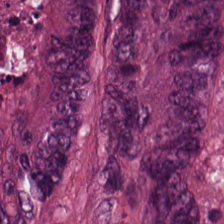Hematoxylin and eosin.
Classification: colorectal adenocarcinoma.
